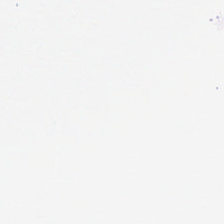Hematoxylin and eosin. Q: What is shown here?
A: It is background.
